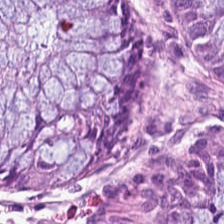Hematoxylin and eosin — Normal colon mucosa.
